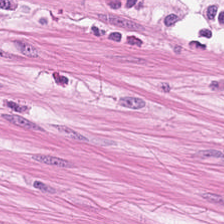{"tissue_type": "smooth muscle"}
